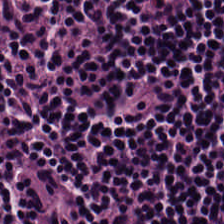Stain: hematoxylin and eosin.
Tissue class: lymphocytic infiltrate.
